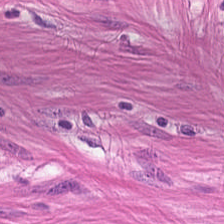WSI patch; H&E-stained tissue section.
Tissue = smooth muscle.
